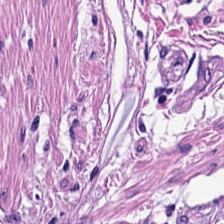224×224 px tile. Hematoxylin-and-eosin stained section. FFPE tissue section — Muscularis.
